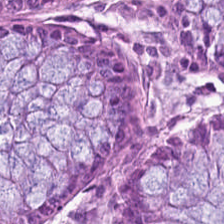Histology → benign colonic mucosa.
